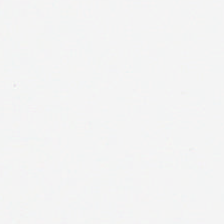H&E-stained tissue section. Classification — no tissue.
